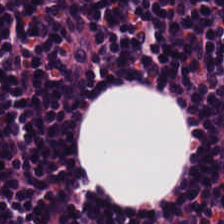Finding — lymphocyte aggregate.
